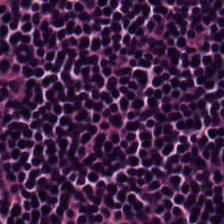Formalin-fixed paraffin-embedded section. H&E — Impression — lymphocytes.
